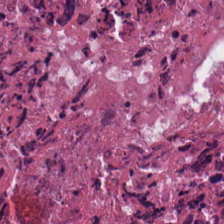Predominantly necrotic debris.
